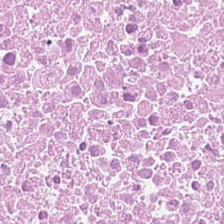Hematoxylin and eosin. Predominantly cellular debris.
